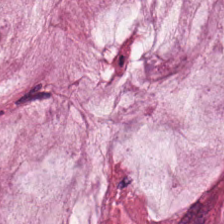Hematoxylin-and-eosin stained section. Impression → mucus.
